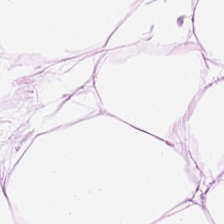20× equivalent magnification · hematoxylin-and-eosin stained section · brightfield.
This field is fat tissue.
